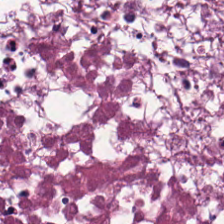224×224 px tile; hematoxylin and eosin. Q: Identify the tissue.
A: The field shows debris.
